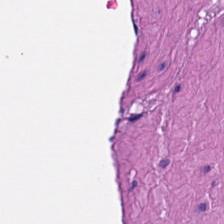{"tissue_type": "smooth-muscle tissue"}
